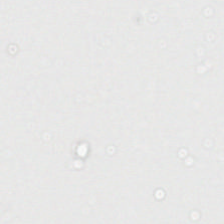Stain: hematoxylin-and-eosin stained section.
Content: background.
